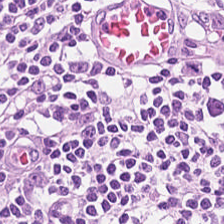H&E stain. Q: What is shown in this field?
A: Lymphoid infiltrate.
